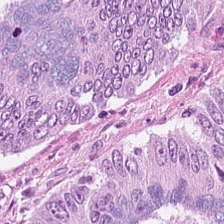Impression → malignant epithelium.
